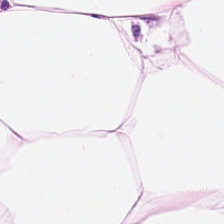Whole-slide-image patch · H&E stain.
Histology — adipose.
